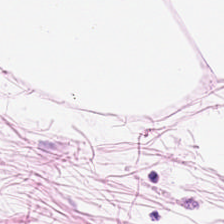Classification — fat tissue.
